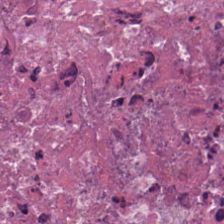Q: What tissue is shown?
A: This is debris.
